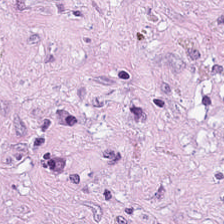Tissue = cancer-associated stroma.
